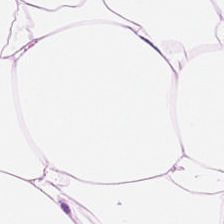Hematoxylin-and-eosin stained section; WSI patch. Histology → adipose tissue.
